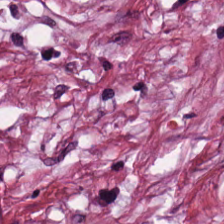Stain: hematoxylin and eosin.
Tissue class: tumor stroma.
